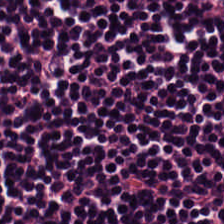Q: What tissue is shown?
A: This is lymphocytic infiltrate.
